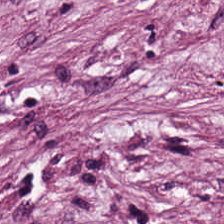Finding — desmoplastic stroma.
